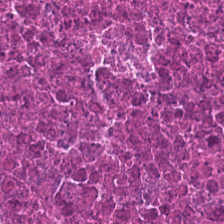Hematoxylin-and-eosin stained section; 224×224 px tile — The tissue class is cellular debris.
